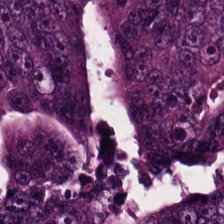H&E · FFPE tissue section — Finding → colorectal adenocarcinoma epithelium.
